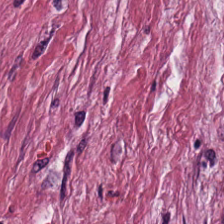Hematoxylin-and-eosin stained section.
Predominantly cancer-associated stroma.
